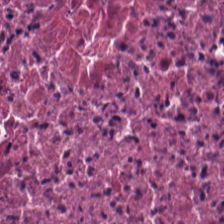Stain: H&E-stained tissue section.
Tile size: 224×224 pixel tile.
Preparation: FFPE tissue section.
Classification: debris.
